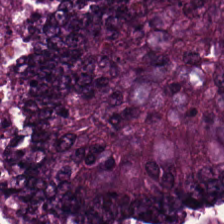Hematoxylin and eosin — Predominant tissue = tumor epithelium.
